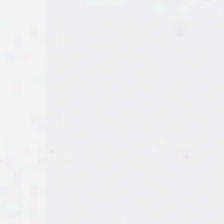FFPE tissue section; H&E-stained tissue section; 0.5 µm per pixel.
Q: What is shown in this field?
A: Background (no tissue).
